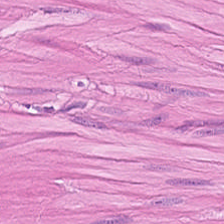Impression → smooth-muscle tissue.
